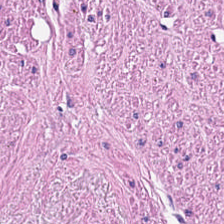H&E stain; 0.5 µm per pixel — The tissue class is smooth-muscle tissue.
